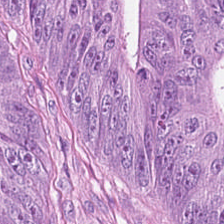Hematoxylin and eosin.
Histology — colorectal adenocarcinoma epithelium.
